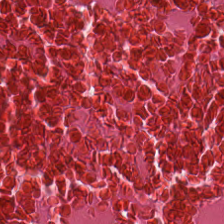{"tissue_type": "debris"}
